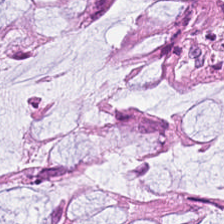Hematoxylin-and-eosin stained section — Histology — normal colon mucosa.
